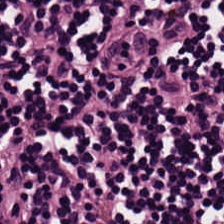Brightfield microscopy · H&E. Finding — lymphoid infiltrate.
